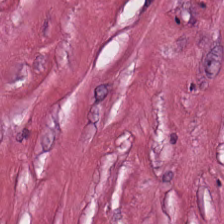224×224 px patch; hematoxylin and eosin — Tissue class = desmoplastic stroma.
